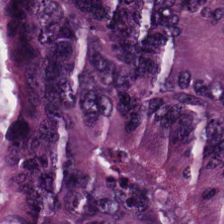H&E stain. The tissue here is malignant epithelium.
